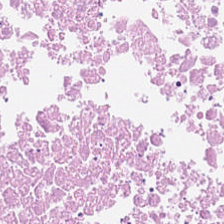Stain: H&E-stained tissue section.
Tile size: 224×224 pixel tile.
Tissue class: debris.
